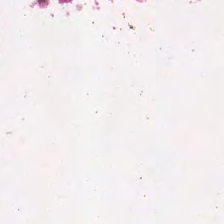Stain: H&E.
Resolution: 0.5 µm per pixel.
Tissue: cellular debris.
